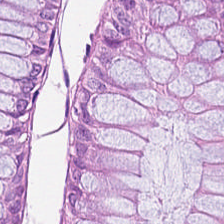Benign colonic mucosa.
